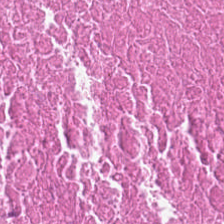Q: What is the predominant tissue type?
A: This is debris.
